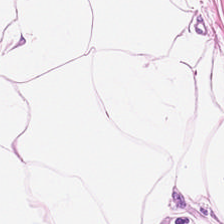0.5 µm/px · hematoxylin-and-eosin stained section · formalin-fixed paraffin-embedded section. Predominantly adipose.
